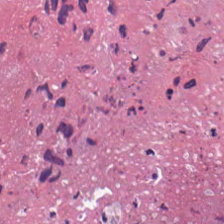H&E stain.
Tissue — necrotic debris.
